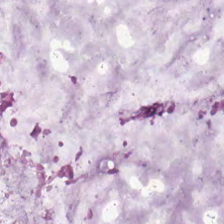This field is mucin.
